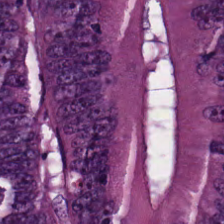Hematoxylin-and-eosin stained section — Classification — colorectal adenocarcinoma.
